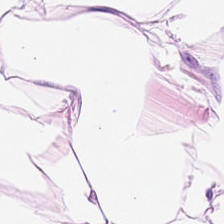H&E.
Adipocytes.
